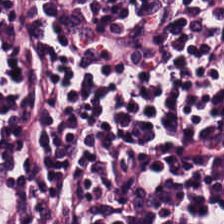FFPE tissue section. Hematoxylin-and-eosin stained section. The tissue here is lymphocyte aggregate.
